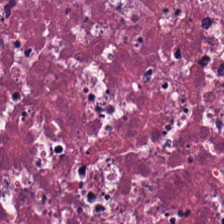H&E-stained tissue section · formalin-fixed paraffin-embedded section.
Predominantly debris.
